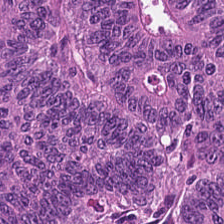H&E stain.
This field is colorectal adenocarcinoma.
